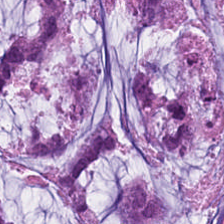Hematoxylin and eosin.
The predominant tissue is mucin.
